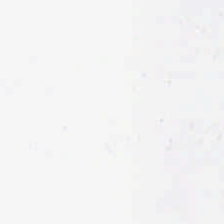H&E.
Histology — background.
